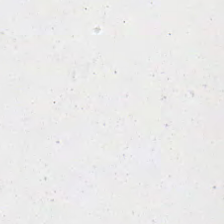Stain: hematoxylin and eosin.
Preparation: FFPE.
Tile size: 224×224 pixel tile.
Classification: no tissue.
